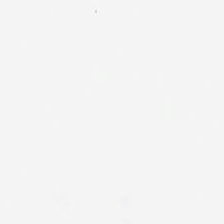H&E-stained tissue section; 0.5 microns per pixel; FFPE tissue section — The content is background.
